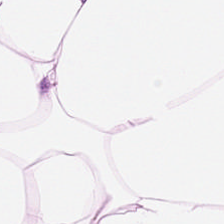20× equivalent magnification. FFPE tissue section. Hematoxylin-and-eosin stained section — Tissue class — adipose.
